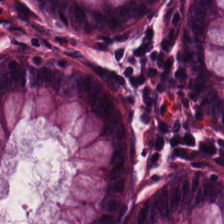H&E-stained tissue section.
The tissue here is non-neoplastic colon mucosa.
